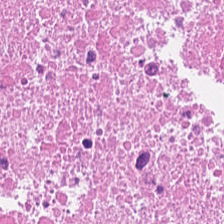H&E stain. Brightfield.
The predominant tissue is debris.
